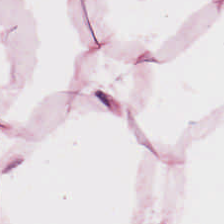Hematoxylin and eosin.
Impression → fat tissue.
